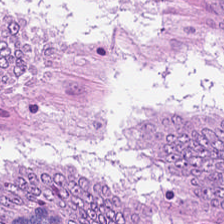FFPE tissue section. WSI patch. H&E.
Histology → tumor epithelium.
